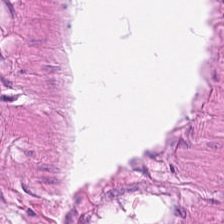H&E stain — This field is smooth muscle.
